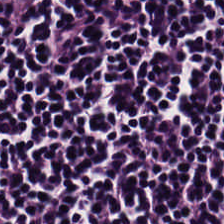Hematoxylin-and-eosin section: lymphocytes.
